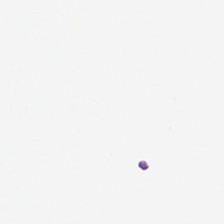H&E stain; 0.5 microns per pixel; 224×224 px tile.
Field content — no tissue.
